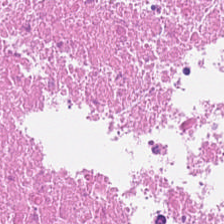0.5 µm/px · hematoxylin-and-eosin stained section — Cellular debris.
